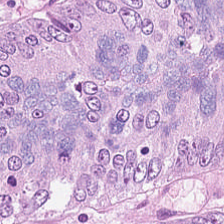H&E-stained tissue section showing colorectal adenocarcinoma epithelium.
